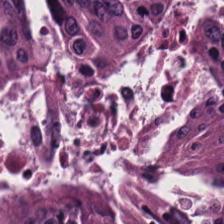H&E stain · 224×224 px tile.
Histology → tumor epithelium.
